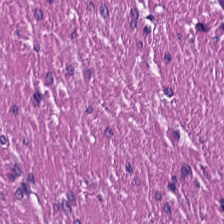Predominantly smooth muscle.
